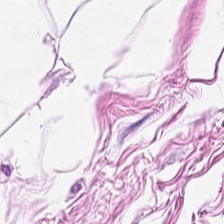Histology — fat tissue.
